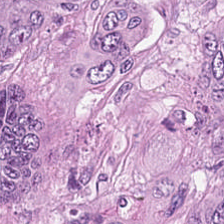H&E-stained tissue section. {"tissue_type": "tumor epithelium"}
